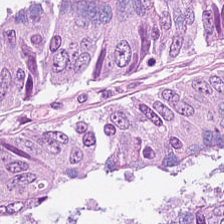Hematoxylin-and-eosin stained section · whole-slide-image patch.
Malignant epithelium.
